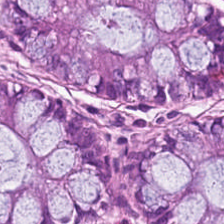WSI patch · H&E stain · 224×224 px patch. Tissue type: non-neoplastic colon mucosa.
